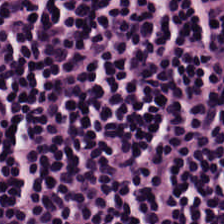Formalin-fixed paraffin-embedded section · brightfield microscopy · hematoxylin-and-eosin stained section. The tissue class is lymphoid infiltrate.
